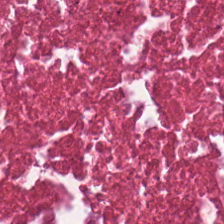H&E-stained tissue section. Histology → necrotic debris.
